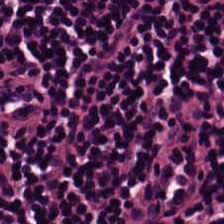0.5 µm per pixel · FFPE tissue section · H&E-stained tissue section — This patch shows lymphocyte aggregate.
